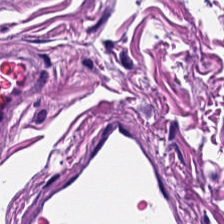H&E · formalin-fixed paraffin-embedded section. Tissue type = muscularis.
